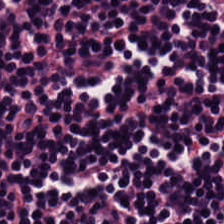H&E · 0.5 microns per pixel.
The tissue here is lymphocytes.
